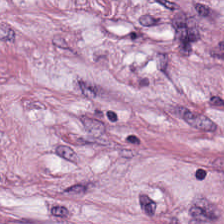224×224 px tile · hematoxylin and eosin.
Q: What is shown here?
A: The field shows tumor-associated stroma.
